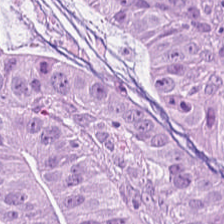Hematoxylin-and-eosin stained section. This patch shows colorectal adenocarcinoma epithelium.
